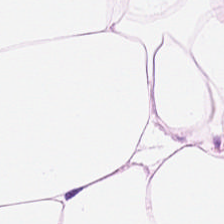Hematoxylin and eosin. 0.5 microns per pixel. Formalin-fixed paraffin-embedded section.
Impression → adipocytes.
